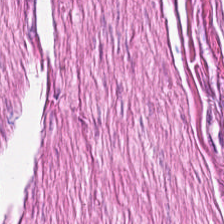Whole-slide-image patch · FFPE · H&E. Tissue = smooth-muscle tissue.
